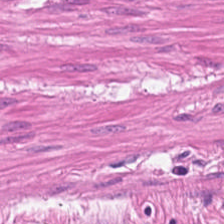H&E-stained tissue section — The tissue here is muscularis.
